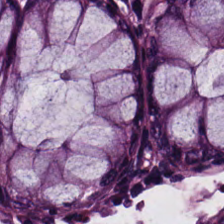0.5 µm per pixel; H&E. Benign colonic mucosa.
